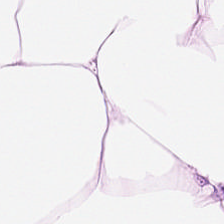Stain: H&E.
Predominant tissue: adipose.
